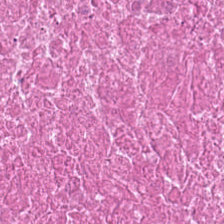Stain: H&E-stained tissue section.
Preparation: formalin-fixed paraffin-embedded section.
Resolution: 0.5 µm/px.
Tissue type: cellular debris.
